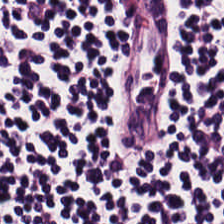Tissue class: lymphocytes.
